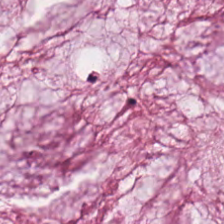H&E · FFPE tissue section — This patch shows mucus.
